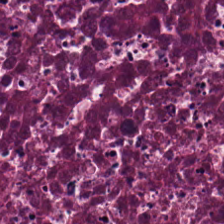H&E-stained tissue section. FFPE. 0.5 µm/px.
Predominantly cellular debris.
